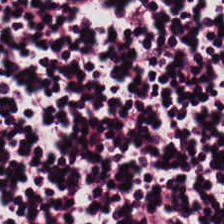H&E. 0.5 µm/px — The predominant tissue is lymphoid infiltrate.
